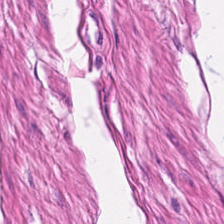Hematoxylin and eosin. Showing smooth muscle.
